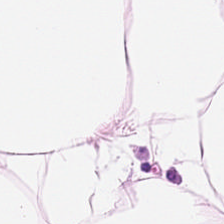224×224 px patch. H&E-stained tissue section.
Showing fat tissue.
